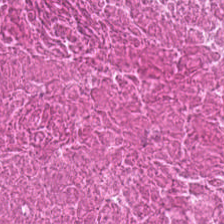224×224 px tile. H&E-stained tissue section. Classification = debris.
